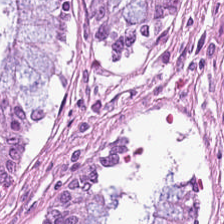H&E — Showing non-neoplastic colon mucosa.
